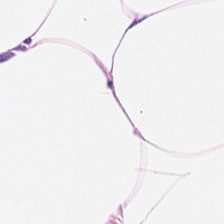H&E-stained tissue section — Classification = fat tissue.
